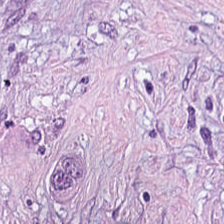The classification is tumor stroma.
